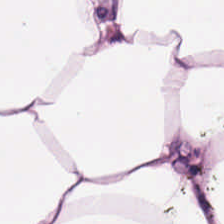224×224 px tile. WSI patch. H&E-stained tissue section.
The classification is adipose tissue.
